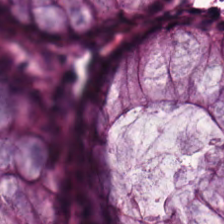0.5 µm/px · H&E stain · formalin-fixed paraffin-embedded section. The predominant tissue is normal colonic mucosa.
